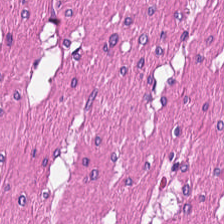Hematoxylin and eosin; FFPE tissue section; brightfield.
Predominantly smooth-muscle tissue.
